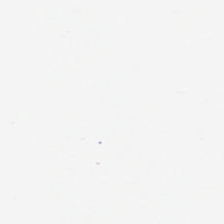0.5 µm per pixel. H&E-stained tissue section.
Classification: empty background.
